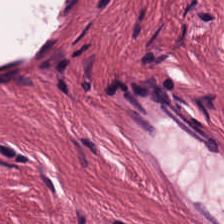H&E · FFPE tissue section.
Tumor stroma.
